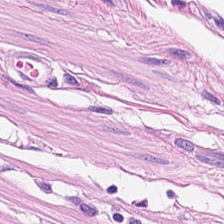224×224 px patch · H&E — Showing smooth-muscle tissue.
